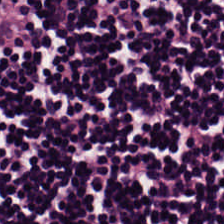Stain: hematoxylin-and-eosin stained section.
Resolution: 20× equivalent magnification.
Preparation: FFPE tissue section.
Predominant tissue: lymphocytes.
